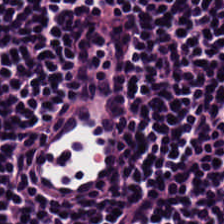Tissue type — lymphocyte aggregate.
